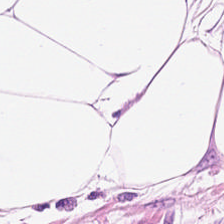H&E-stained tissue section; formalin-fixed paraffin-embedded section. The tissue type is adipose.
